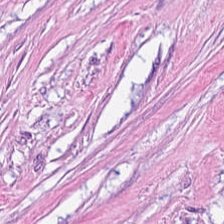Hematoxylin-and-eosin stained section. Q: What is the predominant tissue type?
A: It is tumor stroma.
